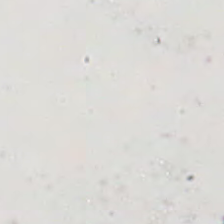H&E stain. {"content": "no tissue"}
